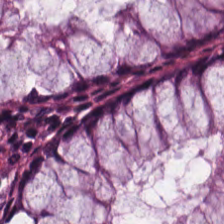Brightfield. Hematoxylin-and-eosin stained section. Predominant tissue = normal colon mucosa.
